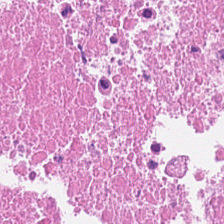Classification = debris.
